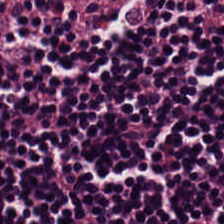Hematoxylin-and-eosin stained section. FFPE.
The tissue class is lymphoid infiltrate.
